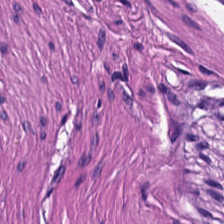WSI patch; 20× equivalent magnification; hematoxylin and eosin — Finding — smooth-muscle tissue.
